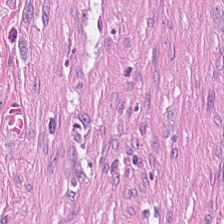Stain: H&E.
Tissue class: tumor stroma.
